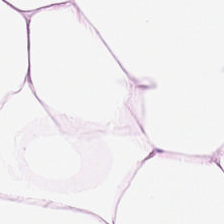Histology → adipose.
